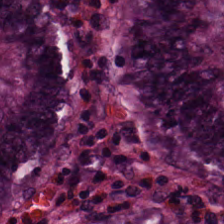H&E-stained tissue section. Finding — benign colonic mucosa.
